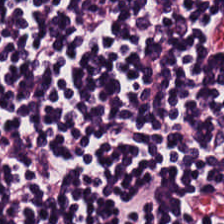Hematoxylin and eosin. Predominant tissue: lymphocyte aggregate.
